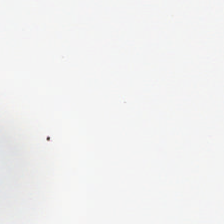Histology — background (no tissue).
